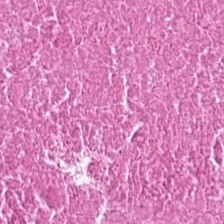H&E-stained tissue section. The tissue here is cellular debris.
